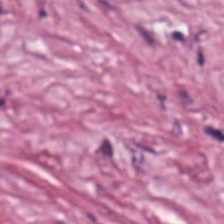Hematoxylin-and-eosin stained section.
Histology → tumor stroma.
